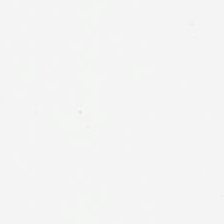H&E. 224×224 px patch. FFPE.
Empty field — empty background.
